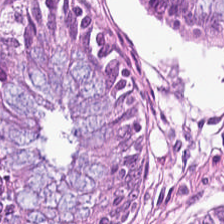FFPE. H&E-stained tissue section.
Q: What type of tissue is this?
A: This is benign colonic mucosa.
